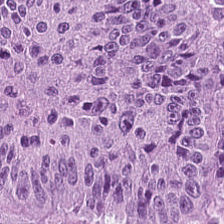H&E — tumor epithelium.
